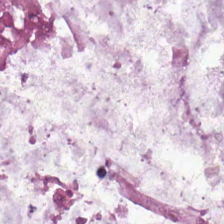H&E; FFPE; brightfield microscopy.
Tissue class — extracellular mucin.
